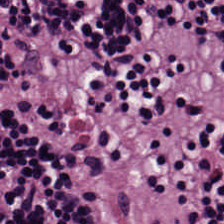0.5 microns per pixel · H&E-stained tissue section. Tissue class — lymphocyte aggregate.
